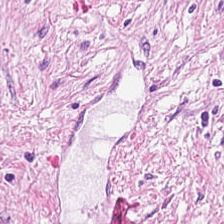Hematoxylin and eosin; FFPE — Predominantly tumor-associated stroma.
